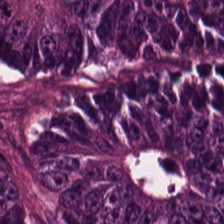20× equivalent magnification. Hematoxylin-and-eosin stained section — Predominant tissue — colorectal adenocarcinoma epithelium.
